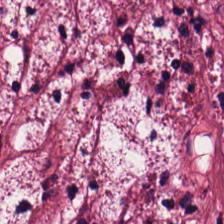Hematoxylin and eosin.
Showing tumor stroma.
